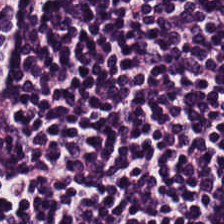224×224 pixel tile; hematoxylin-and-eosin stained section.
Classification: lymphoid infiltrate.
